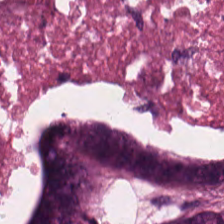Hematoxylin and eosin.
Predominant tissue — cellular debris.
